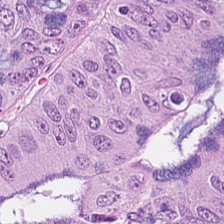224×224 pixel tile. Brightfield microscopy. Hematoxylin-and-eosin stained section — This field is colorectal adenocarcinoma.
